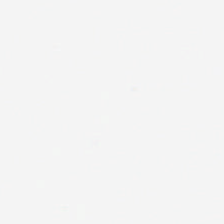224×224 px tile; FFPE tissue section; H&E-stained tissue section. No tissue present; background only.
